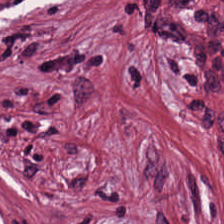This patch shows tumor-associated stroma.
